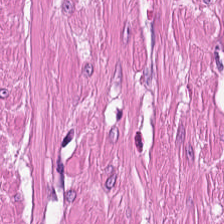H&E — Predominantly smooth muscle.
